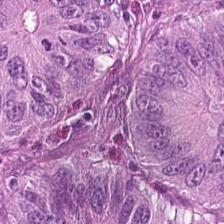H&E-stained tissue section. Predominant tissue — colorectal adenocarcinoma.
